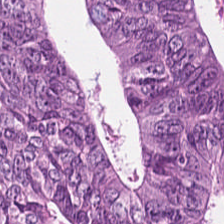Hematoxylin and eosin. Q: What tissue type is shown here?
A: The field shows adenocarcinoma.
